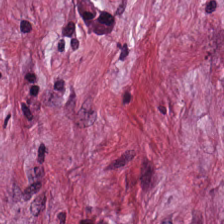Hematoxylin-and-eosin stained section · 0.5 microns per pixel. {"tissue_type": "cancer-associated stroma"}
